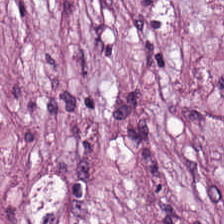The predominant tissue is tumor-associated stroma.
